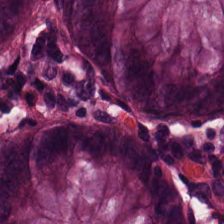Stain: H&E stain.
Classification: benign colonic mucosa.
